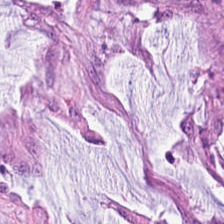The tissue here is mucus.
